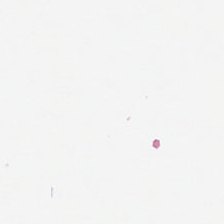H&E-stained tissue section — Classification — empty background.
